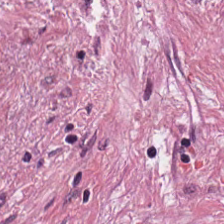H&E-stained tissue section. The tissue here is tumor stroma.
